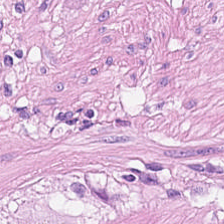224×224 px patch · H&E stain.
Impression — muscularis.
